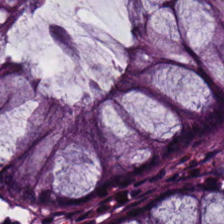{"tissue_type": "non-neoplastic colon mucosa"}
